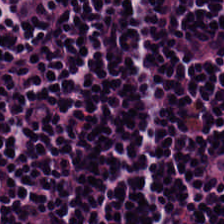20× equivalent magnification. WSI patch. H&E — Finding — lymphocytes.
